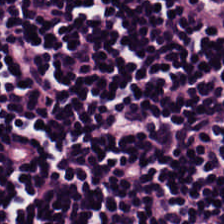H&E-stained section; the field shows lymphoid infiltrate.
